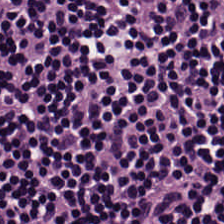Q: What does this patch show?
A: Lymphoid infiltrate.
